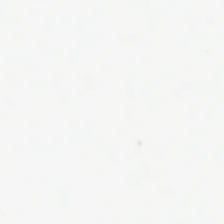FFPE. H&E-stained tissue section. 0.5 µm per pixel. The classification is background (no tissue).
